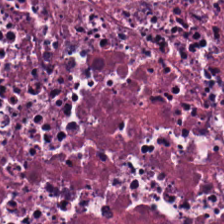H&E stain — Tissue type = necrotic debris.
